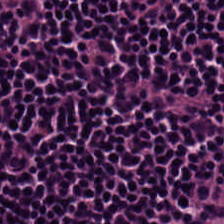224×224 pixel tile. Hematoxylin-and-eosin stained section. Formalin-fixed paraffin-embedded section. {"tissue_type": "lymphoid infiltrate"}
